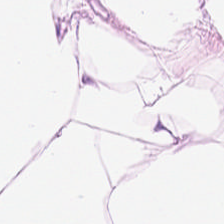Stain: H&E.
Tissue type: fat tissue.
